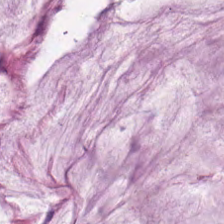The tissue class is extracellular mucin.
